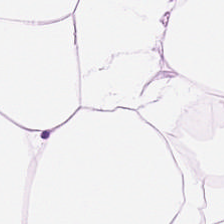WSI patch. H&E stain. FFPE tissue section — Predominantly adipose.
